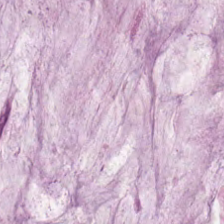Hematoxylin and eosin — The predominant tissue is mucin.
